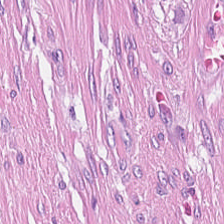H&E — The tissue here is cancer-associated stroma.
